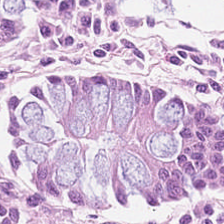Stain: H&E.
Tile size: 224×224 px patch.
Tissue: normal colonic mucosa.
